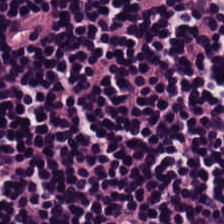Hematoxylin and eosin · 224×224 px patch — Histology → lymphoid infiltrate.
